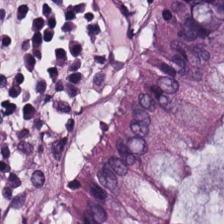Hematoxylin and eosin. The tissue type is benign colonic mucosa.
